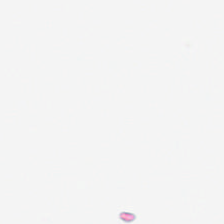FFPE; hematoxylin-and-eosin stained section.
Empty field — no tissue.
